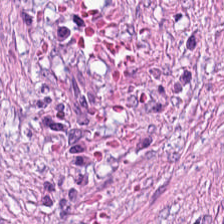H&E stain — The tissue class is tumor-associated stroma.
